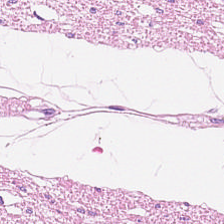Tissue type — muscularis.
